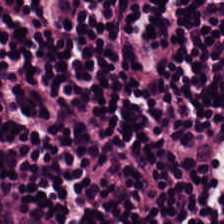H&E-stained tissue section · brightfield microscopy.
Q: What tissue type is shown here?
A: This is lymphocytic infiltrate.
